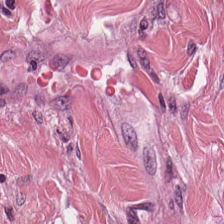Hematoxylin-and-eosin stained section — This patch shows tumor-associated stroma.
